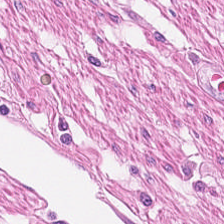H&E. 224×224 pixel tile. Q: What type of tissue is this?
A: This is smooth-muscle tissue.
